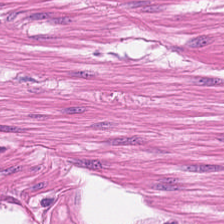Tissue — smooth-muscle tissue.
